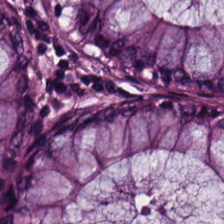0.5 µm per pixel; H&E stain; 224×224 px tile.
Showing normal colon mucosa.
